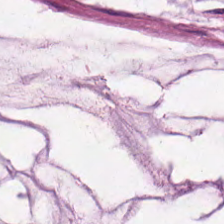Stain: hematoxylin and eosin.
Tissue class: extracellular mucin.
